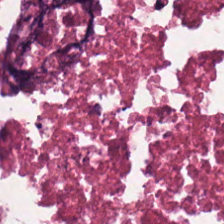H&E-stained tissue section.
This patch shows cellular debris.
